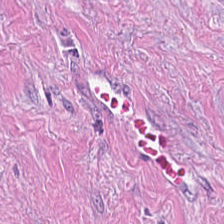Tissue class = tumor stroma.
